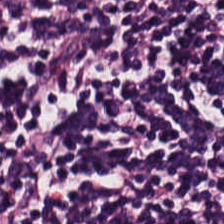H&E — Q: What tissue type is shown here?
A: It is lymphocytes.
